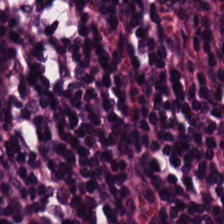Stain: H&E.
Tile size: 224×224 px tile.
Resolution: 0.5 µm/px.
Tissue: lymphocyte aggregate.
